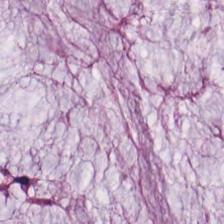224×224 px patch. H&E.
Showing extracellular mucin.
